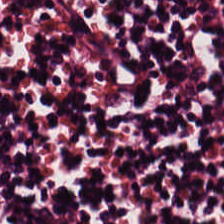Hematoxylin and eosin — Predominant tissue: lymphocyte aggregate.
